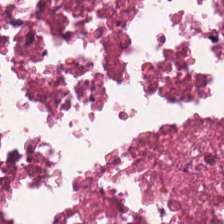Brightfield microscopy · H&E.
Classification: cellular debris.
